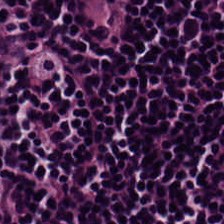224×224 px tile. Hematoxylin-and-eosin stained section. 20× equivalent magnification.
This patch shows lymphocytic infiltrate.
